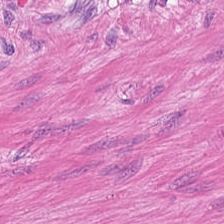The tissue here is smooth muscle.
